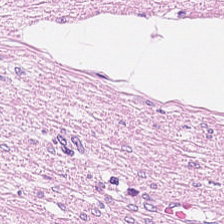0.5 microns per pixel · hematoxylin and eosin · FFPE.
Histology — muscularis.
